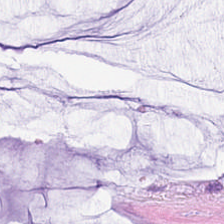Showing mucus.
